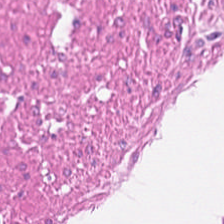Hematoxylin and eosin. Impression — muscularis.
